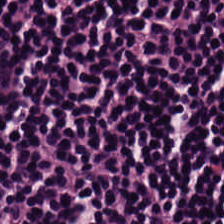Stain: hematoxylin and eosin.
Tissue type: lymphocytic infiltrate.
